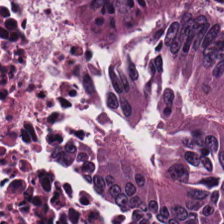H&E-stained tissue section.
Classification — malignant epithelium.
